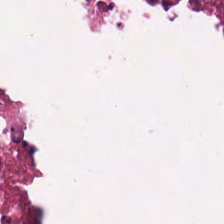H&E-stained tissue section. 224×224 px tile. Impression — necrotic debris.
